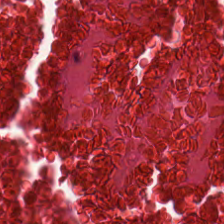H&E stain. Predominant tissue — debris.
